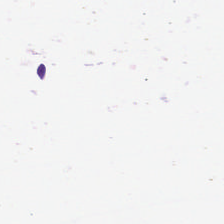H&E stain. Field content: empty background.
